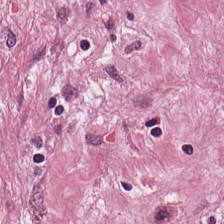H&E-stained tissue section. Q: Classify this patch.
A: It is cancer-associated stroma.
